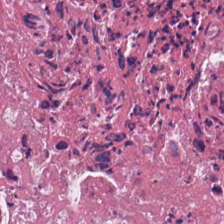FFPE; H&E stain. Showing debris.
